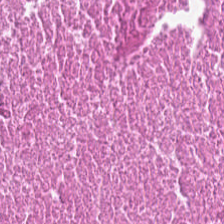Stain: H&E.
Preparation: FFPE tissue section.
Tile size: 224×224 px patch.
Tissue type: necrotic debris.
